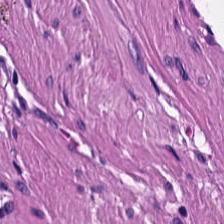H&E.
This patch shows smooth muscle.
